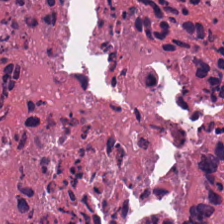H&E stain. Tissue class — debris.
